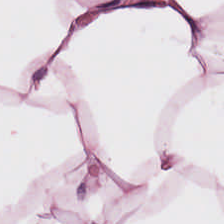H&E stain · 0.5 µm/px · whole-slide-image patch.
Tissue type — fat tissue.
